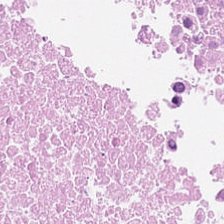H&E — debris.
